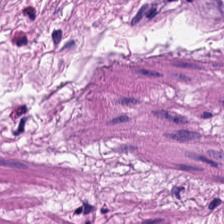H&E-stained tissue section. Brightfield. Formalin-fixed paraffin-embedded section.
Predominant tissue = smooth muscle.
